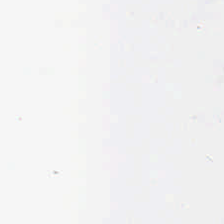H&E. 224×224 pixel tile. Field content = background.
